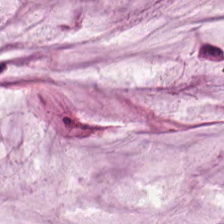Stain: hematoxylin-and-eosin stained section.
Resolution: 0.5 µm per pixel.
Tissue class: mucus.
